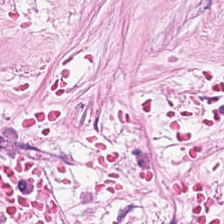Stain: H&E stain.
Resolution: 0.5 µm/px.
Tile size: 224×224 px tile.
Classification: desmoplastic stroma.
